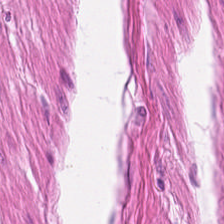H&E-stained tissue section. This field is smooth-muscle tissue.
